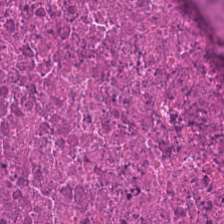Tissue = cellular debris.
